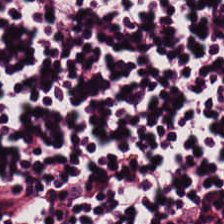Hematoxylin-and-eosin stained section. Showing lymphocyte aggregate.
